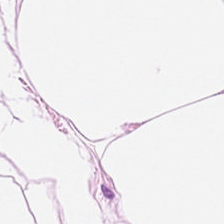H&E-stained tissue section. Q: What is shown in this field?
A: This is adipose tissue.
